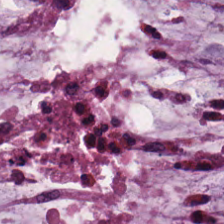Hematoxylin-and-eosin stained section. Tissue type = mucus.
